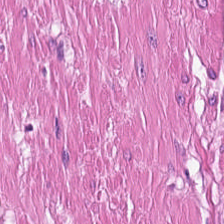Hematoxylin and eosin; whole-slide-image patch — Predominantly smooth-muscle tissue.
